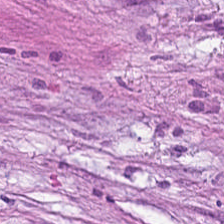0.5 µm/px; hematoxylin and eosin; 224×224 px patch — Histology → tumor-associated stroma.
